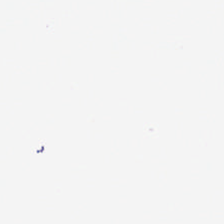FFPE. H&E. Field content: background (no tissue).
